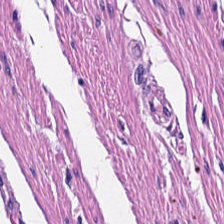H&E — Tissue class: muscularis.
